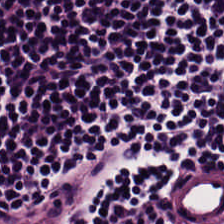0.5 µm/px. Hematoxylin-and-eosin stained section. Impression → lymphoid infiltrate.
